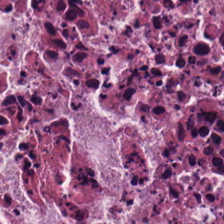{"tissue_type": "necrotic debris"}
